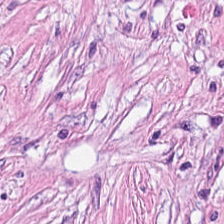Hematoxylin and eosin.
This patch shows cancer-associated stroma.
